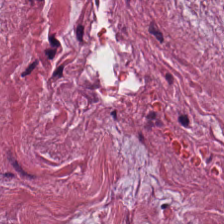224×224 pixel tile; 0.5 µm/px; hematoxylin and eosin. The tissue here is tumor stroma.
